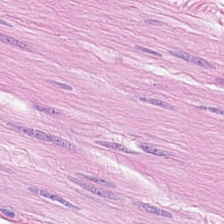Stain: hematoxylin and eosin.
Classification: smooth muscle.
